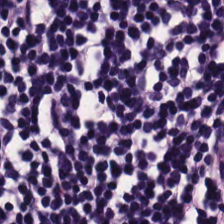Hematoxylin-and-eosin stained section.
Q: Identify the tissue.
A: It is lymphocytes.
